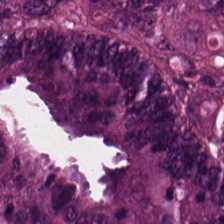H&E-stained tissue section. Adenocarcinoma.
